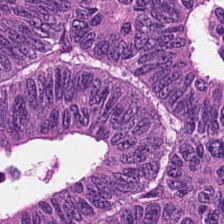H&E-stained tissue section. Histology — malignant epithelium.
